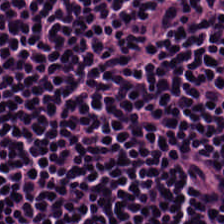0.5 µm/px. 224×224 pixel tile. H&E-stained tissue section. Predominantly lymphocytic infiltrate.
